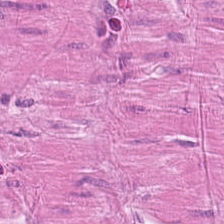H&E.
Smooth-muscle tissue.
